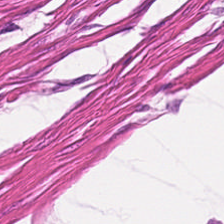Tissue: smooth-muscle tissue.
